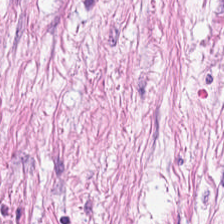H&E-stained tissue section. Predominantly tumor-associated stroma.
